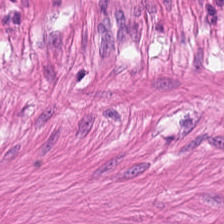Hematoxylin and eosin; 224×224 pixel tile; brightfield microscopy. The tissue type is smooth-muscle tissue.
